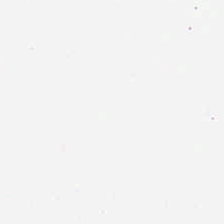H&E-stained tissue section; FFPE tissue section. {"content": "empty background"}
